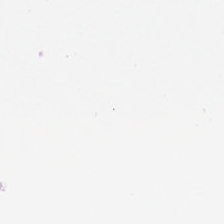Content — no tissue.
